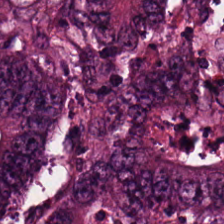Hematoxylin-and-eosin section: colorectal adenocarcinoma.
